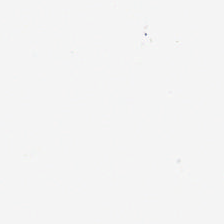Hematoxylin and eosin — Background — no tissue in this field.
